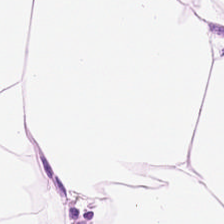H&E stain — Q: Classify this patch.
A: The field shows fat tissue.
